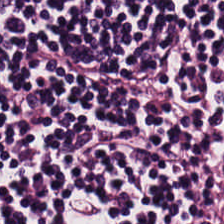Stain: H&E stain.
Resolution: 0.5 µm/px.
Tissue: lymphoid infiltrate.
